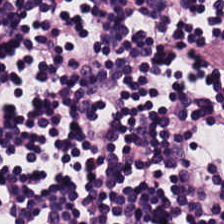H&E · FFPE tissue section · whole-slide-image patch.
Showing lymphocyte aggregate.
